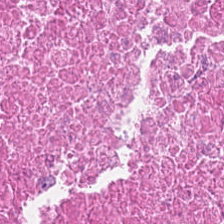H&E stain. 224×224 pixel tile — Finding → debris.
